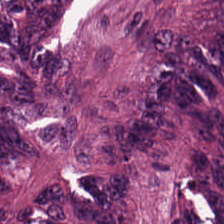Impression — colorectal adenocarcinoma.
